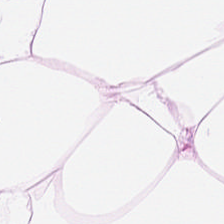Hematoxylin-and-eosin stained section.
Showing adipocytes.
